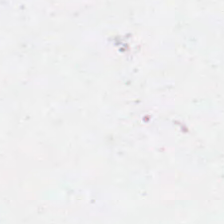Hematoxylin and eosin — Background — no tissue in this field.
